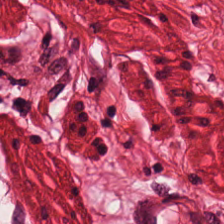H&E — muscularis.
